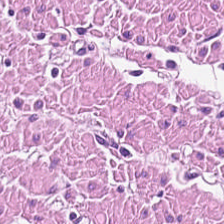224×224 pixel tile. H&E-stained tissue section — This patch shows muscularis.
